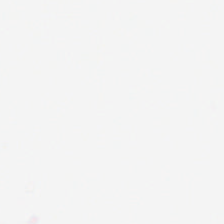Stain: hematoxylin-and-eosin stained section.
Classification: background.
